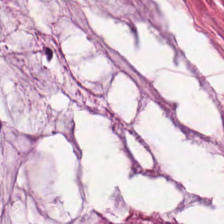Hematoxylin and eosin — This field is extracellular mucin.
